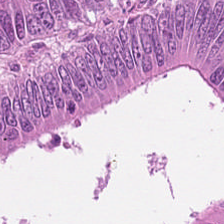Brightfield microscopy; hematoxylin-and-eosin stained section.
Classification — malignant epithelium.
